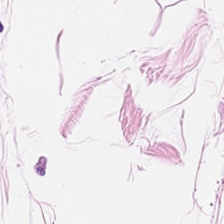FFPE tissue section; H&E; 224×224 pixel tile. Impression — adipose tissue.
